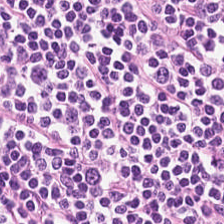Stain: hematoxylin and eosin.
Resolution: 20× equivalent magnification.
Tissue: lymphocyte aggregate.
